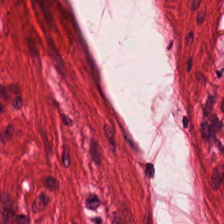H&E.
Q: What is the predominant tissue type?
A: It is muscularis.
